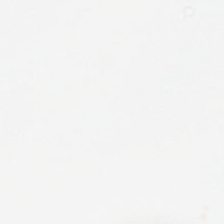WSI patch; hematoxylin and eosin.
The field content is empty background.
